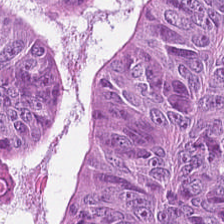0.5 µm per pixel · 224×224 pixel tile · hematoxylin and eosin. This patch shows adenocarcinoma.
